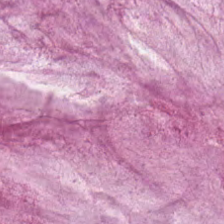Hematoxylin and eosin — Tissue: extracellular mucin.
